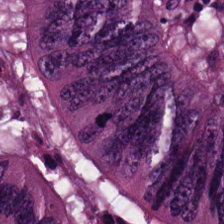H&E-stained tissue section · FFPE tissue section.
Tissue type: tumor epithelium.
